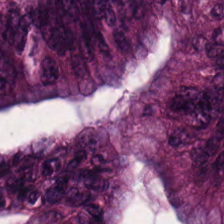Stain: hematoxylin-and-eosin stained section.
Preparation: FFPE tissue section.
Predominant tissue: colorectal adenocarcinoma.
